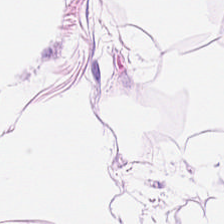224×224 px patch. H&E. Formalin-fixed paraffin-embedded section — The predominant tissue is adipose.
